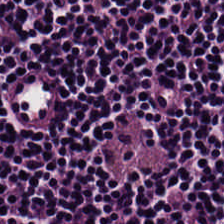H&E stain — The tissue here is lymphocytes.
